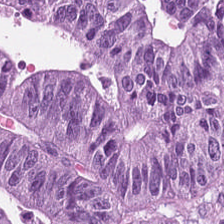Hematoxylin-and-eosin stained section. Predominant tissue = colorectal adenocarcinoma epithelium.
